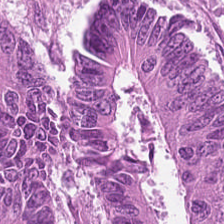Hematoxylin-and-eosin stained section. 0.5 µm per pixel — The predominant tissue is colorectal adenocarcinoma epithelium.
